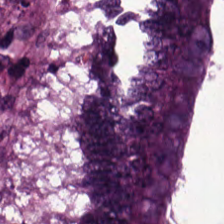Impression — adenocarcinoma.
